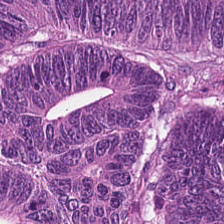Q: What is shown here?
A: This is tumor epithelium.
